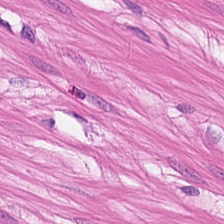Hematoxylin-and-eosin stained section.
Showing muscularis.
